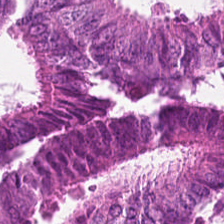224×224 px tile. H&E stain.
The tissue is colorectal adenocarcinoma epithelium.
